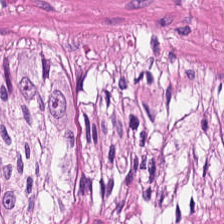Hematoxylin-and-eosin stained section. Predominant tissue — smooth-muscle tissue.
